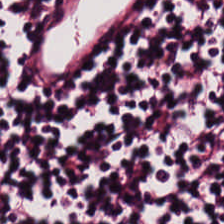Q: Classify this patch.
A: The field shows lymphoid infiltrate.
